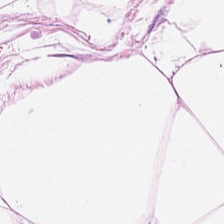Brightfield microscopy · H&E-stained tissue section.
Tissue type = fat tissue.
